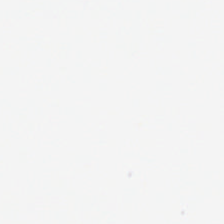0.5 microns per pixel; hematoxylin and eosin.
Impression — background (no tissue).
